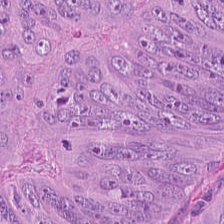Hematoxylin-and-eosin stained section. FFPE — Predominantly colorectal adenocarcinoma.
